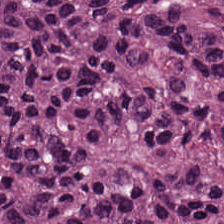WSI patch · hematoxylin-and-eosin stained section.
The predominant tissue is adenocarcinoma.
